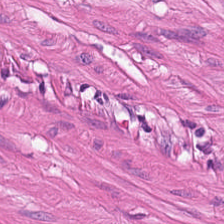H&E-stained tissue section.
Showing smooth-muscle tissue.
